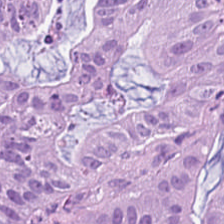Whole-slide-image patch. Hematoxylin and eosin. The tissue type is adenocarcinoma.
